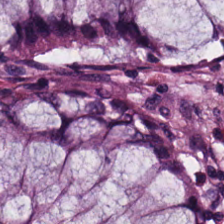H&E-stained tissue section — The predominant tissue is normal colonic mucosa.
